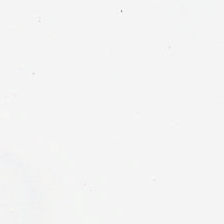Hematoxylin and eosin. Background — no tissue in this field.
